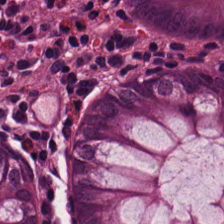Tissue class = non-neoplastic colon mucosa.
